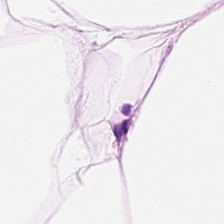H&E stain · 0.5 µm per pixel.
Finding → adipocytes.
